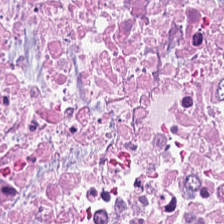The tissue type is debris.
